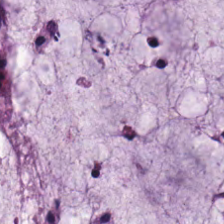H&E · 0.5 µm/px.
The classification is extracellular mucin.
